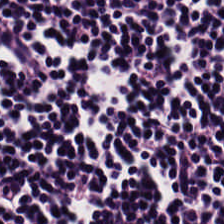Hematoxylin-and-eosin stained section.
This field is lymphoid infiltrate.
